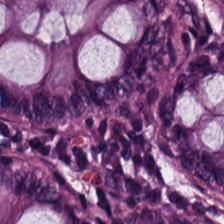20× equivalent magnification. H&E stain. Q: What is the predominant tissue type?
A: Non-neoplastic colon mucosa.
